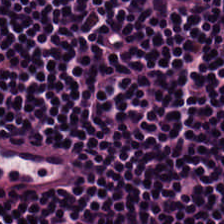{"tissue_type": "lymphoid infiltrate"}
